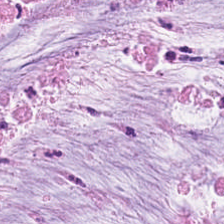H&E stain.
Finding — mucus.
